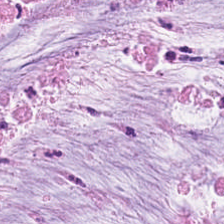H&E stain.
Finding — mucus.
